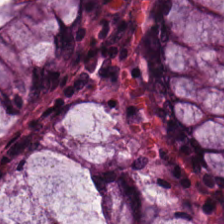FFPE. Hematoxylin-and-eosin stained section — Q: What type of tissue is this?
A: Normal colonic mucosa.
